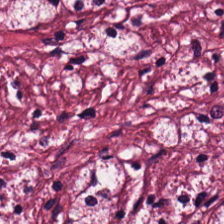Formalin-fixed paraffin-embedded section; H&E-stained tissue section; brightfield. Q: What type of tissue is this?
A: Tumor-associated stroma.
